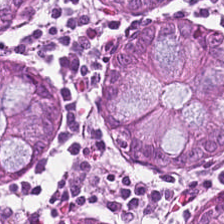Q: What tissue is shown?
A: The field shows benign colonic mucosa.
